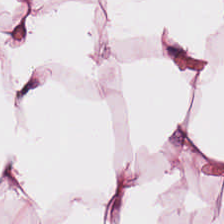Formalin-fixed paraffin-embedded section · hematoxylin and eosin · 224×224 pixel tile. Tissue class — fat tissue.
